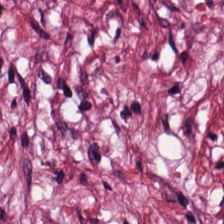Stain: H&E-stained tissue section.
Classification: desmoplastic stroma.
